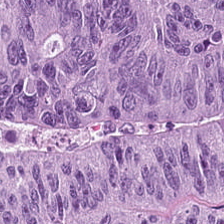H&E stain. 0.5 µm per pixel. 224×224 px patch.
The predominant tissue is colorectal adenocarcinoma epithelium.
